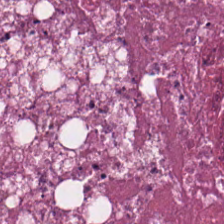Hematoxylin and eosin. Q: What tissue is shown?
A: This is necrotic debris.
